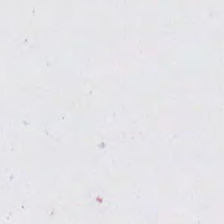H&E-stained tissue section — Empty background.
